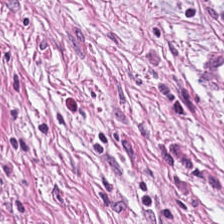FFPE tissue section · 0.5 microns per pixel · H&E — The tissue is desmoplastic stroma.
